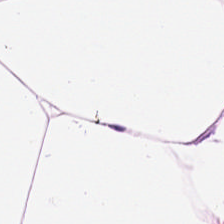Stain: hematoxylin-and-eosin stained section.
Tissue type: fat tissue.
